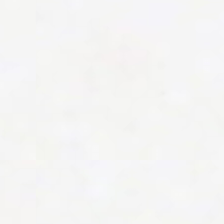Content: no tissue.
